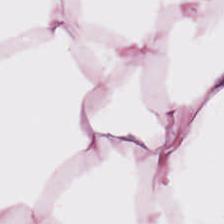Histology — adipose tissue.
